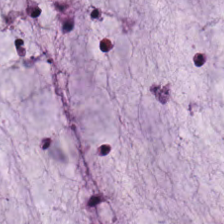Histology → mucin.
